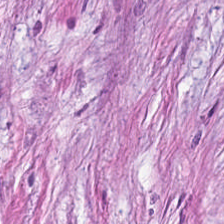Tissue class = tumor stroma.
